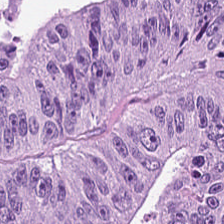H&E-stained tissue section — Tissue — tumor epithelium.
